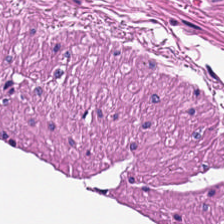{"tissue_type": "muscularis"}
